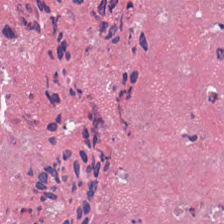Stain: H&E.
Tile size: 224×224 pixel tile.
Classification: cellular debris.
